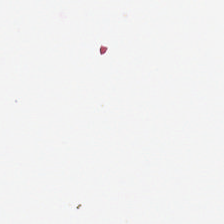H&E. 224×224 px patch — Q: Classify this patch.
A: This is no tissue.
